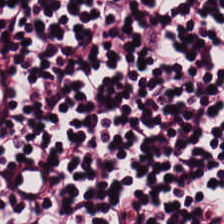Stain: hematoxylin and eosin.
Preparation: FFPE.
Tissue type: lymphocyte aggregate.
